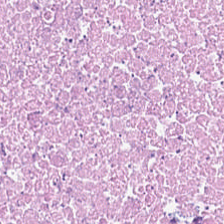Whole-slide-image patch; hematoxylin and eosin; 0.5 microns per pixel — Classification — necrotic debris.
